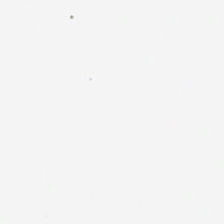Empty field — empty background.
